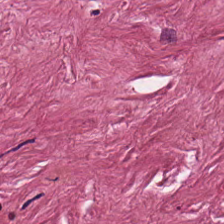0.5 µm/px. H&E. FFPE. Tissue class = cancer-associated stroma.
